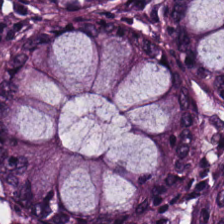H&E stain; 0.5 µm/px.
Non-neoplastic colon mucosa.
